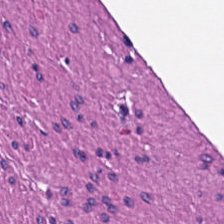Stain: H&E stain.
Tissue: smooth muscle.
